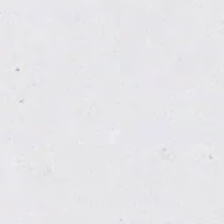Empty field — no tissue.
